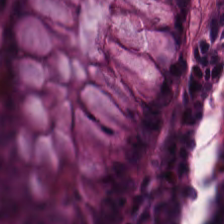H&E. Whole-slide-image patch — Tissue class = normal colonic mucosa.
